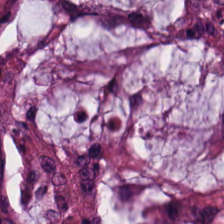Predominantly adenocarcinoma.
